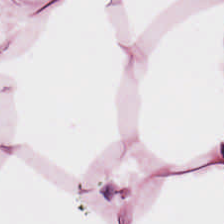Predominant tissue — adipose.
